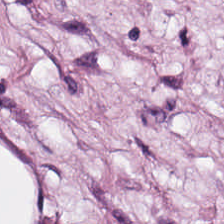Q: Classify this patch.
A: This is fat tissue.
